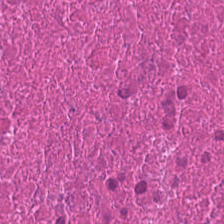H&E stain.
{"tissue_type": "cellular debris"}
